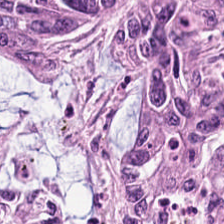224×224 px tile; H&E-stained tissue section; 20× equivalent magnification. The tissue here is malignant epithelium.
